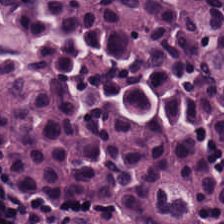WSI patch. H&E-stained tissue section. Lymphoid infiltrate.
